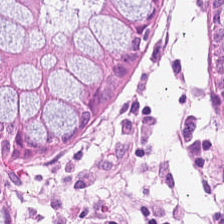224×224 px tile. H&E.
Predominant tissue = non-neoplastic colon mucosa.
